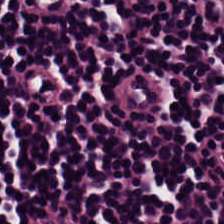Classification: lymphocyte aggregate.
